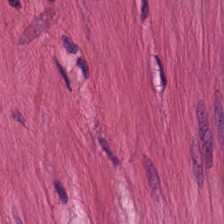Hematoxylin and eosin. Q: Classify this patch.
A: Muscularis.
